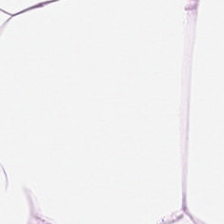Hematoxylin-and-eosin stained section. The predominant tissue is adipocytes.
